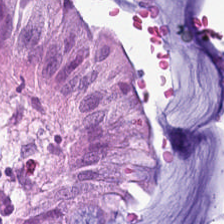H&E stain — Tissue type: benign colonic mucosa.
